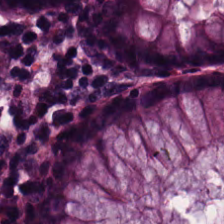Tissue — non-neoplastic colon mucosa.
